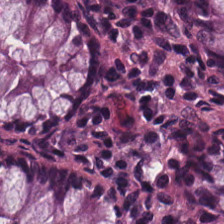Non-neoplastic colon mucosa.
